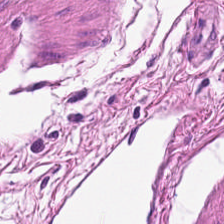The classification is muscularis.
